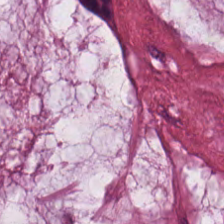Brightfield microscopy. Hematoxylin-and-eosin stained section. 0.5 µm per pixel.
Impression — mucus.
